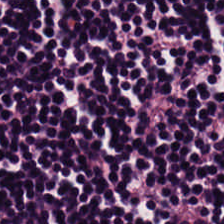H&E-stained tissue section; 0.5 microns per pixel.
Tissue — lymphocytic infiltrate.
